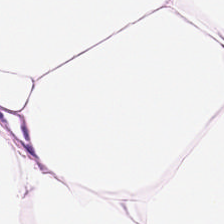Hematoxylin-and-eosin stained section; WSI patch.
Predominantly adipose.
